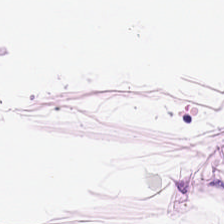Stain: H&E.
Acquisition: WSI patch.
Tissue type: adipocytes.
